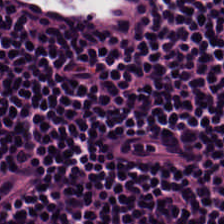{"tissue_type": "lymphocytic infiltrate"}
